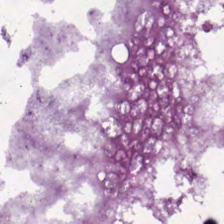H&E stain; 20× equivalent magnification.
The predominant tissue is colorectal adenocarcinoma epithelium.
